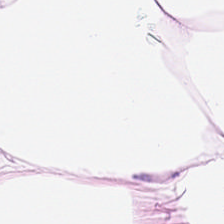Hematoxylin and eosin. This patch shows adipose.
